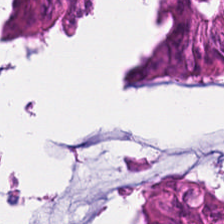Stain: H&E stain.
Tissue: malignant epithelium.
